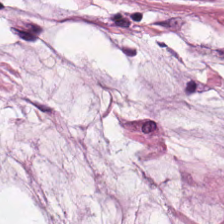H&E stain — Tissue type = mucin.
